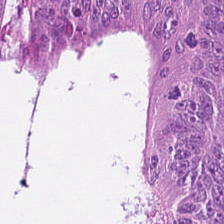0.5 µm/px; H&E; brightfield microscopy.
This field is tumor epithelium.
